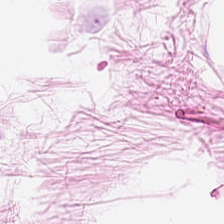0.5 microns per pixel; H&E. Histology → adipose tissue.
